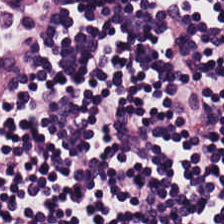0.5 µm per pixel · H&E. Q: What is the predominant tissue type?
A: The field shows lymphocytes.
